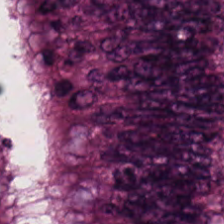H&E-stained tissue section.
{"tissue_type": "colorectal adenocarcinoma epithelium"}
